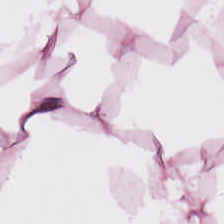Tissue type — adipose.
